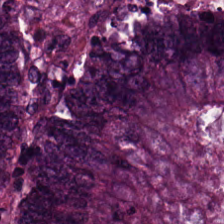H&E-stained tissue section showing tumor epithelium.
